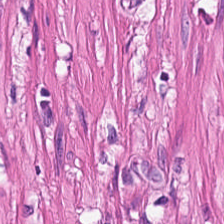Classification = muscularis.
